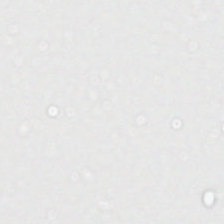H&E stain — The classification is empty background.
